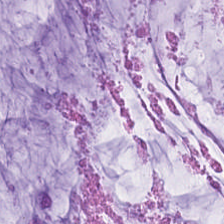Impression — mucus.
